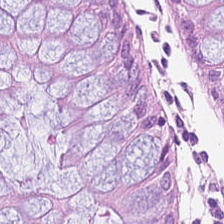Finding — normal colon mucosa.
